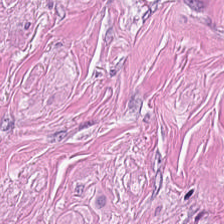Hematoxylin-and-eosin stained section — Tissue class = cancer-associated stroma.
